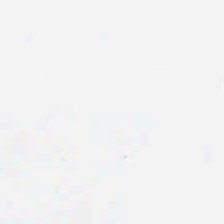Finding — background (no tissue).
